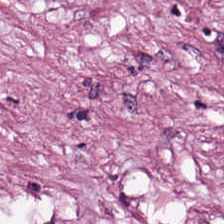H&E-stained tissue section.
Q: What tissue is shown?
A: This is tumor stroma.
